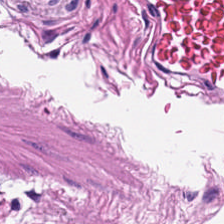Hematoxylin-and-eosin stained section. Classification = smooth muscle.
